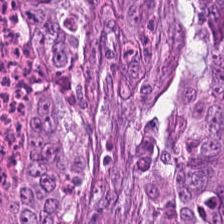H&E-stained tissue section.
Q: Identify the tissue.
A: It is tumor epithelium.
